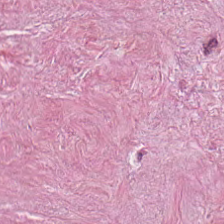Hematoxylin and eosin — This patch shows cancer-associated stroma.
